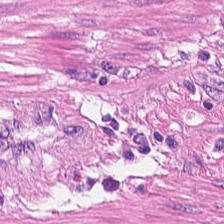Hematoxylin-and-eosin section: smooth muscle.
